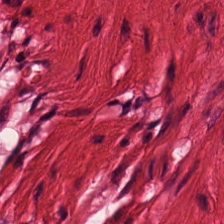Histology — muscularis.
